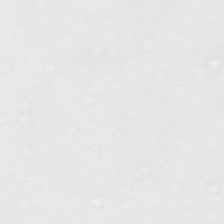H&E-stained tissue section. Content — background.
